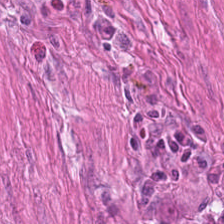H&E stain.
Q: What is shown in this field?
A: It is muscularis.
